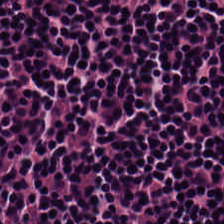H&E — lymphocyte aggregate.
